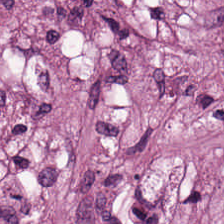Formalin-fixed paraffin-embedded section · H&E stain — Predominant tissue = tumor stroma.
